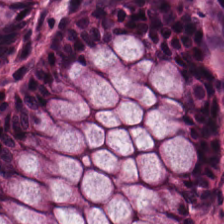The predominant tissue is non-neoplastic colon mucosa.
